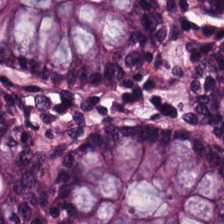Stain: H&E stain.
Tile size: 224×224 px tile.
Classification: normal colon mucosa.
